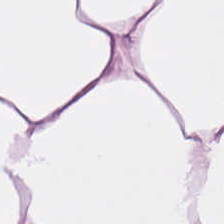This field is adipose tissue.
